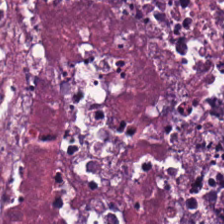Whole-slide-image patch. H&E-stained tissue section. 224×224 px tile.
Tissue type: necrotic debris.
